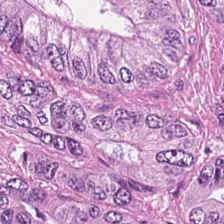Hematoxylin and eosin — This field is colorectal adenocarcinoma epithelium.
